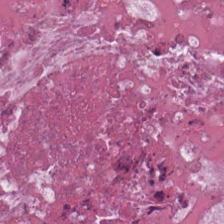Hematoxylin-and-eosin stained section — The tissue here is necrotic debris.
